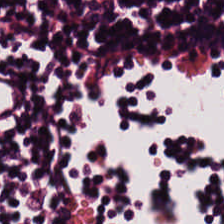H&E stain.
This patch shows lymphocyte aggregate.
